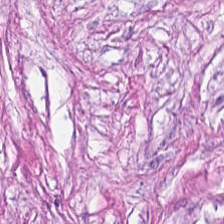Showing desmoplastic stroma.
